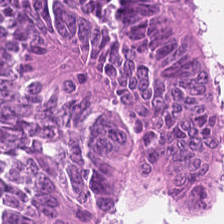Hematoxylin-and-eosin stained section. Impression → colorectal adenocarcinoma epithelium.
